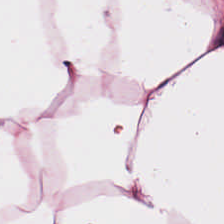H&E stain — Predominant tissue: adipose tissue.
